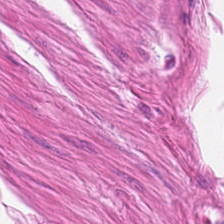Classification: smooth-muscle tissue.
